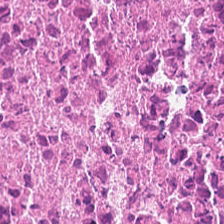224×224 px tile · H&E. The tissue class is necrotic debris.
